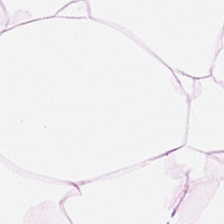H&E stain. This field is adipose tissue.
